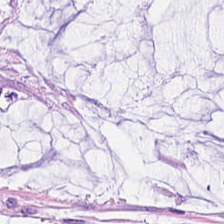Stain: H&E-stained tissue section.
Classification: extracellular mucin.
